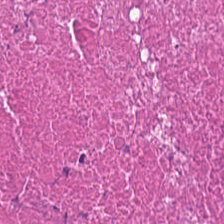Classification — debris.
